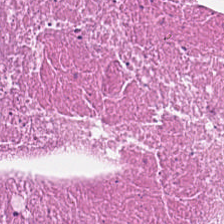0.5 µm per pixel; hematoxylin-and-eosin stained section; whole-slide-image patch. Q: What is shown here?
A: The field shows debris.
